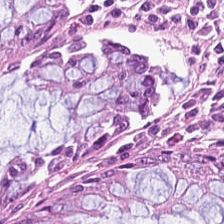Hematoxylin and eosin. 20× equivalent magnification. The tissue here is normal colonic mucosa.
